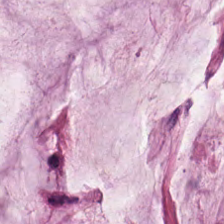Tissue type — mucin.
